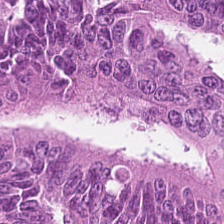H&E · formalin-fixed paraffin-embedded section — This patch shows adenocarcinoma.
